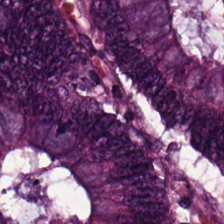Hematoxylin-and-eosin stained section.
This field is adenocarcinoma.
